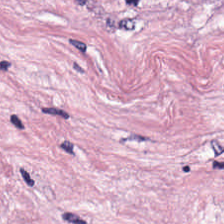H&E stain — The tissue here is cancer-associated stroma.
